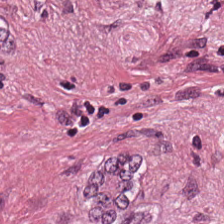Hematoxylin and eosin.
The predominant tissue is cancer-associated stroma.
